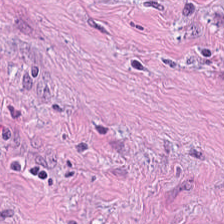Predominantly tumor-associated stroma.
